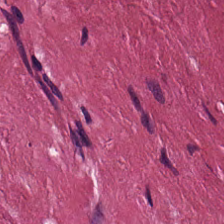H&E-stained tissue section · brightfield.
This patch shows desmoplastic stroma.
